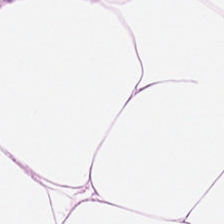0.5 µm per pixel. Brightfield microscopy. Hematoxylin-and-eosin stained section.
This patch shows fat tissue.
